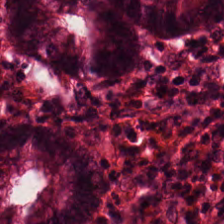224×224 px tile; 0.5 microns per pixel; H&E — Tissue — normal colonic mucosa.
